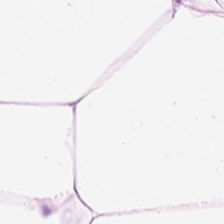Brightfield microscopy; FFPE tissue section; H&E stain.
This patch shows fat tissue.
